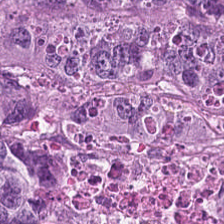0.5 µm/px. Hematoxylin-and-eosin stained section — Impression — adenocarcinoma.
